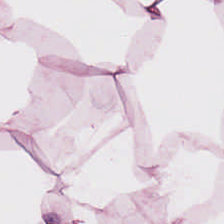Hematoxylin and eosin; 224×224 pixel tile — This field is adipose tissue.
